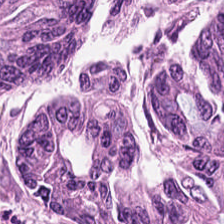H&E. This patch shows tumor epithelium.
